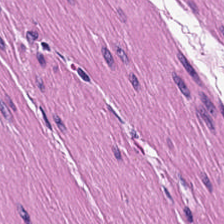Hematoxylin and eosin — Predominantly smooth-muscle tissue.
